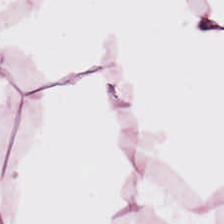WSI patch. H&E.
Impression → adipose.
